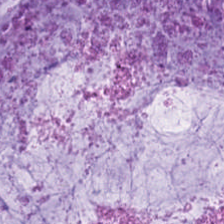Hematoxylin-and-eosin stained section · 20× equivalent magnification · whole-slide-image patch — The tissue here is mucin.
